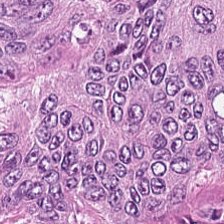H&E; formalin-fixed paraffin-embedded section. Predominantly adenocarcinoma.
